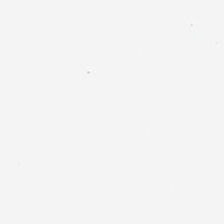Field content = background (no tissue).
